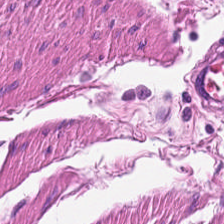Stain: H&E-stained tissue section.
Tissue type: smooth muscle.
